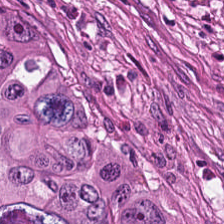H&E — colorectal adenocarcinoma epithelium.
